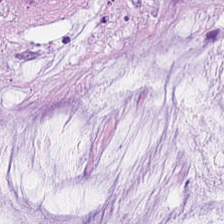H&E-stained section; the field shows extracellular mucin.
